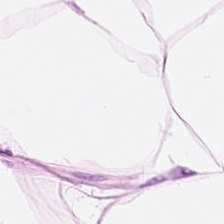0.5 µm per pixel. Hematoxylin-and-eosin stained section.
Q: What is the predominant tissue type?
A: This is fat tissue.
